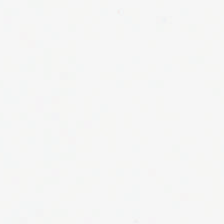H&E.
Content = background (no tissue).
